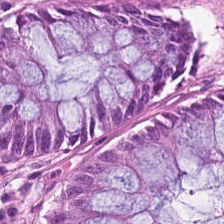Stain: H&E.
Tissue class: benign colonic mucosa.
